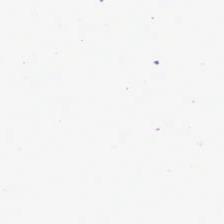Hematoxylin-and-eosin stained section.
Classification: empty background.
